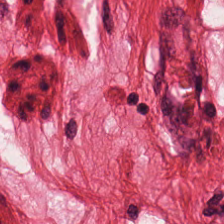Finding — muscularis.
